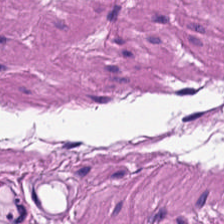H&E stain.
Showing smooth muscle.
